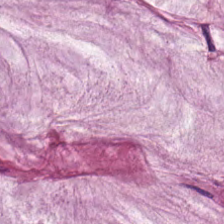Brightfield · hematoxylin and eosin — Tissue type: mucin.
